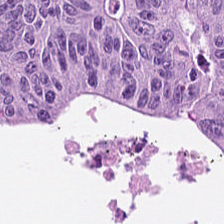Formalin-fixed paraffin-embedded section; 224×224 pixel tile; hematoxylin-and-eosin stained section — Finding — malignant epithelium.
